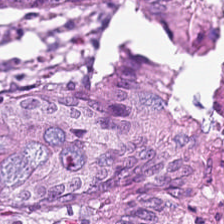Whole-slide-image patch · FFPE · hematoxylin and eosin — The tissue here is non-neoplastic colon mucosa.
